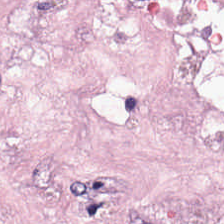Tissue: tumor-associated stroma.
